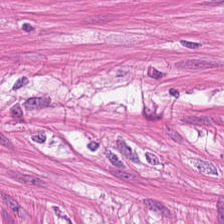224×224 px tile; FFPE tissue section; H&E.
Tissue type: smooth-muscle tissue.
